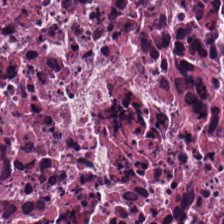Hematoxylin-and-eosin stained section — Q: What type of tissue is this?
A: This is cellular debris.
